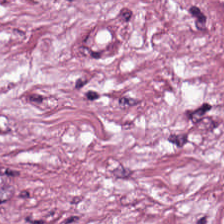FFPE tissue section; 224×224 px patch; H&E. Q: Identify the tissue.
A: This is tumor-associated stroma.
